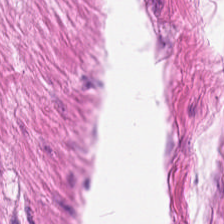H&E-stained tissue section; 0.5 µm/px. Classification = smooth-muscle tissue.
